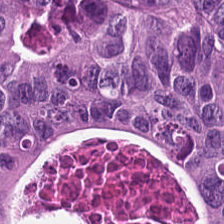H&E stain — Predominantly colorectal adenocarcinoma epithelium.
